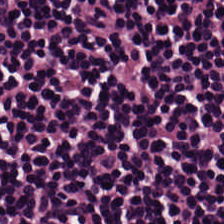Hematoxylin and eosin · 0.5 µm/px. Showing lymphoid infiltrate.
